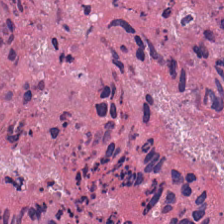H&E stain. Brightfield — This field is debris.
